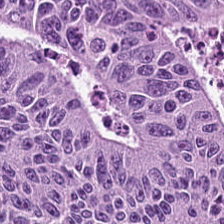H&E stain.
Q: What tissue is shown?
A: This is malignant epithelium.
